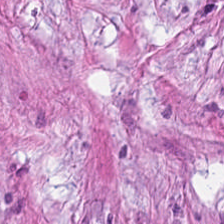H&E-stained tissue section.
Tissue class = cancer-associated stroma.
